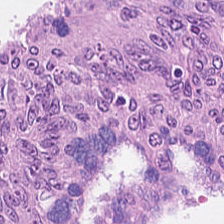Stain: hematoxylin-and-eosin stained section.
Predominant tissue: tumor epithelium.
